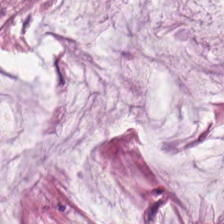H&E.
The predominant tissue is extracellular mucin.
